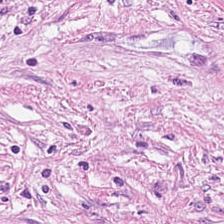H&E stain — The tissue here is tumor stroma.
